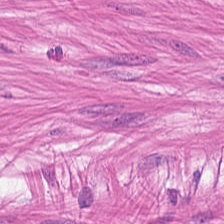Hematoxylin-and-eosin stained section · 0.5 µm per pixel · 224×224 px tile — Muscularis.
